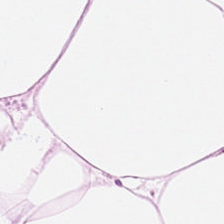Hematoxylin-and-eosin stained section — Fat tissue.
